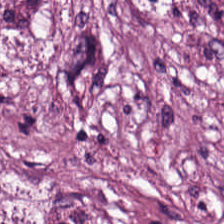The predominant tissue is tumor stroma.
